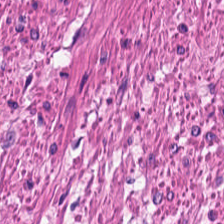H&E.
The tissue type is smooth-muscle tissue.
